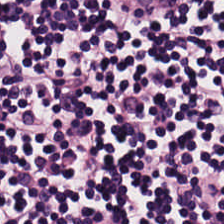This patch shows lymphocyte aggregate.
